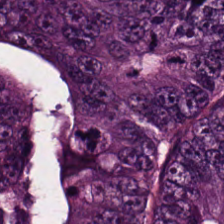H&E stain; FFPE — The tissue type is colorectal adenocarcinoma.
